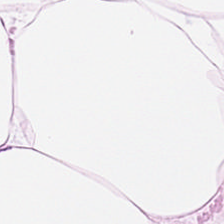H&E-stained tissue section · 0.5 µm per pixel. This field is adipose tissue.
